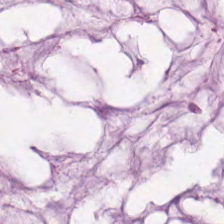H&E-stained tissue section. Classification = extracellular mucin.
